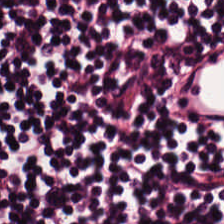Hematoxylin-and-eosin stained section. The classification is lymphoid infiltrate.
